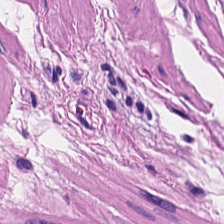H&E stain · 224×224 px tile — Tissue — smooth-muscle tissue.
